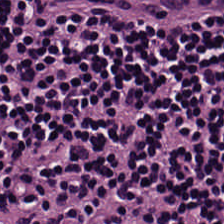224×224 px patch. H&E — Q: Classify this patch.
A: This is lymphoid infiltrate.
